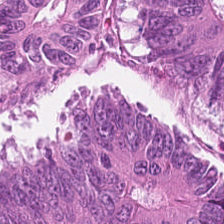Stain: hematoxylin and eosin.
Predominant tissue: colorectal adenocarcinoma.
